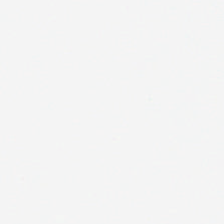Stain: H&E.
Preparation: FFPE.
Content: no tissue.
